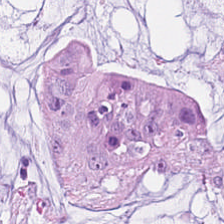H&E-stained tissue section. Predominantly extracellular mucin.
